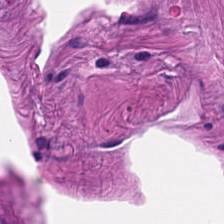Hematoxylin and eosin — Q: What does this patch show?
A: It is smooth muscle.
